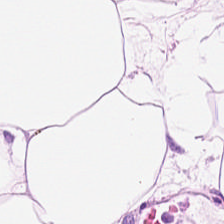The tissue class is adipose tissue.
